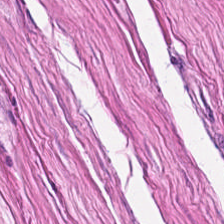H&E-stained tissue section. Q: What is shown here?
A: Muscularis.
